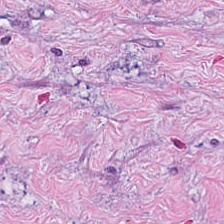H&E stain.
The tissue type is tumor-associated stroma.
